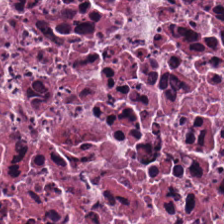H&E · FFPE tissue section. {"tissue_type": "cellular debris"}
